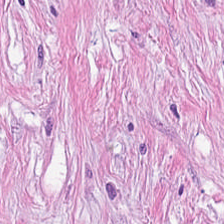H&E-stained tissue section.
Q: What does this patch show?
A: The field shows desmoplastic stroma.
